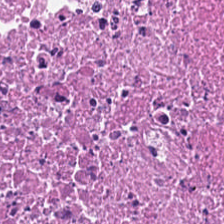H&E stain — Classification: debris.
